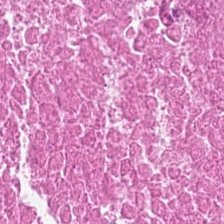Stain: hematoxylin-and-eosin stained section.
Tissue type: cellular debris.
